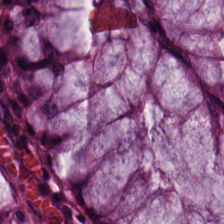H&E stain — Tissue = normal colonic mucosa.
